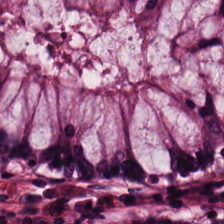FFPE tissue section. H&E stain — Tissue = normal colon mucosa.
